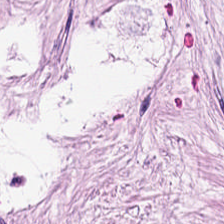H&E.
The tissue here is tumor stroma.
